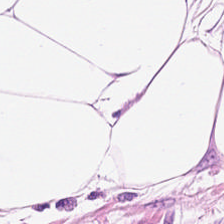Stain: hematoxylin and eosin.
Tissue: adipocytes.
